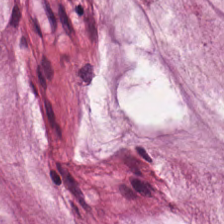Hematoxylin and eosin. 0.5 µm/px. Whole-slide-image patch.
Tissue type: mucin.
